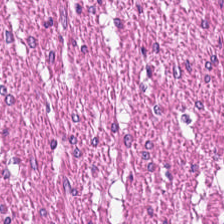Stain: H&E.
Acquisition: whole-slide-image patch.
Resolution: 0.5 microns per pixel.
Tissue class: smooth-muscle tissue.
